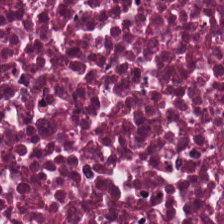Q: What is the predominant tissue type?
A: It is debris.
